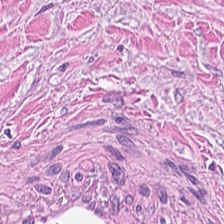H&E.
Finding — desmoplastic stroma.
